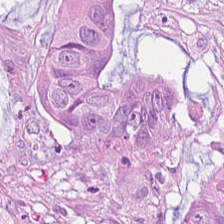H&E — Q: What is shown here?
A: Malignant epithelium.
